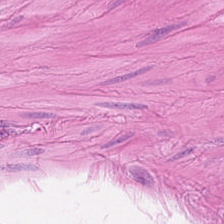Brightfield. H&E — This field is smooth muscle.
